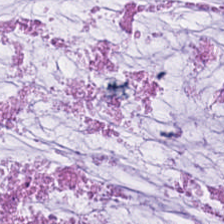Whole-slide-image patch; 224×224 px patch; hematoxylin-and-eosin stained section. Tissue = mucus.
